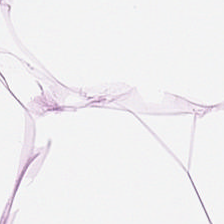Stain: hematoxylin and eosin.
Preparation: FFPE.
Tile size: 224×224 pixel tile.
Classification: fat tissue.
